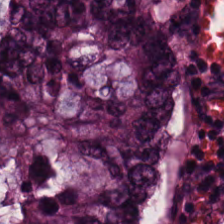Stain: hematoxylin-and-eosin stained section.
Acquisition: brightfield.
Classification: tumor epithelium.
